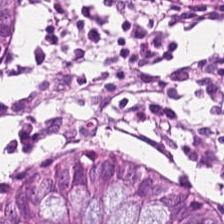Stain: hematoxylin-and-eosin stained section.
Tissue: benign colonic mucosa.
